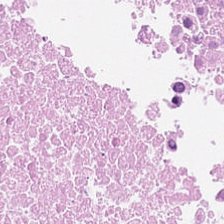Finding → debris.
